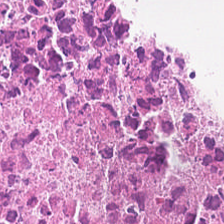Hematoxylin-and-eosin stained section. This field is necrotic debris.
